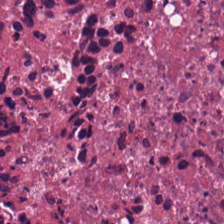Classification: debris.
